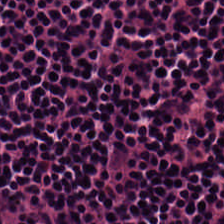Formalin-fixed paraffin-embedded section; hematoxylin-and-eosin stained section; brightfield.
Q: What tissue type is shown here?
A: This is lymphocyte aggregate.
